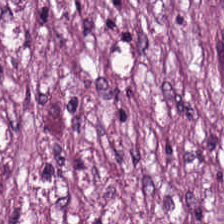Hematoxylin and eosin — Q: What is the predominant tissue type?
A: It is tumor-associated stroma.
